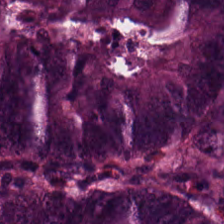H&E-stained tissue section.
Colorectal adenocarcinoma epithelium.
